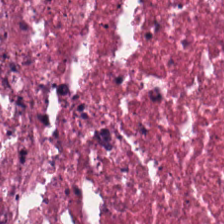WSI patch. Hematoxylin-and-eosin stained section — Predominantly cellular debris.
